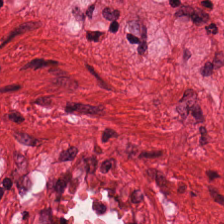Stain: H&E stain.
Tissue: muscularis.
